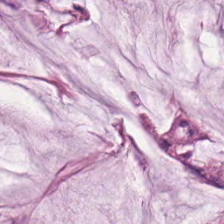0.5 µm per pixel; brightfield microscopy; H&E.
Mucin.
